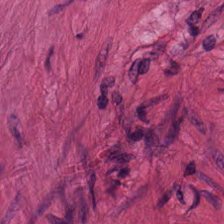Hematoxylin and eosin. Impression → smooth muscle.
